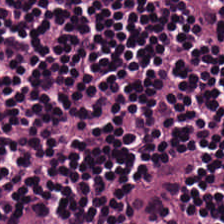Showing lymphoid infiltrate.
